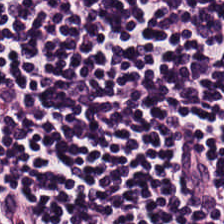H&E — Predominant tissue: lymphocytic infiltrate.
